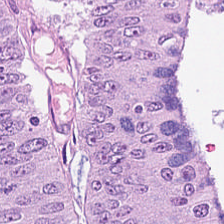224×224 px tile · hematoxylin and eosin. Predominantly colorectal adenocarcinoma epithelium.
